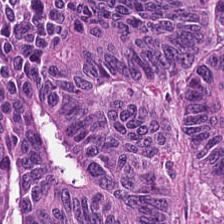H&E-stained tissue section.
Tissue class = colorectal adenocarcinoma.
